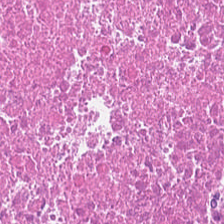H&E stain — The predominant tissue is necrotic debris.
